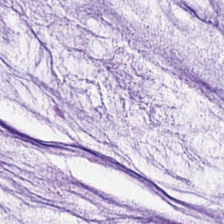Hematoxylin and eosin; brightfield microscopy — Tissue type = mucus.
